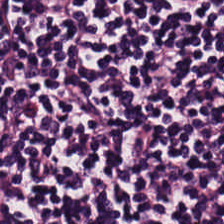Stain: hematoxylin and eosin.
Preparation: FFPE.
Tissue class: lymphocytic infiltrate.
